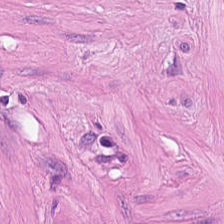H&E.
Smooth-muscle tissue.
